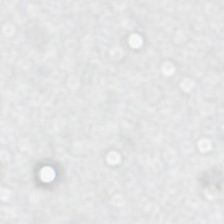Impression — empty background.
